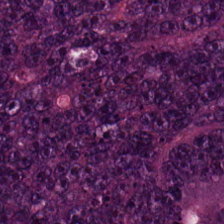Hematoxylin and eosin — The predominant tissue is malignant epithelium.
